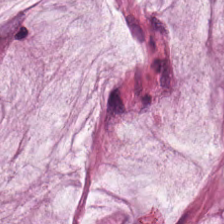Hematoxylin and eosin. FFPE — Classification: extracellular mucin.
